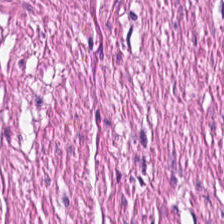Predominantly muscularis.
